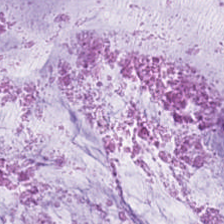Hematoxylin and eosin — Q: What tissue is shown?
A: This is extracellular mucin.
